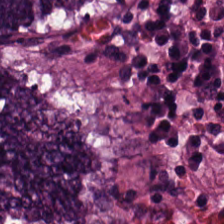H&E-stained tissue section · 0.5 µm per pixel · 224×224 px tile. The classification is adenocarcinoma.
